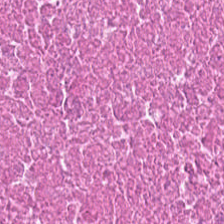Showing necrotic debris.
